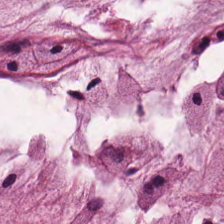H&E-stained tissue section. The tissue class is mucus.
